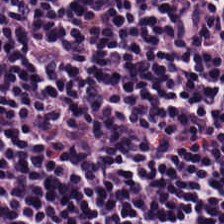Hematoxylin-and-eosin stained section — This field is lymphocyte aggregate.
